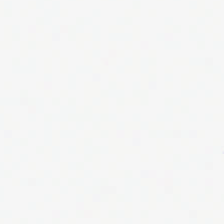Stain: H&E stain.
Resolution: 0.5 µm/px.
Classification: empty background.
